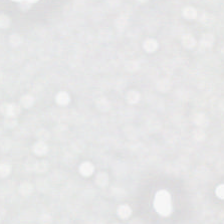Stain: H&E-stained tissue section.
Classification: background.
